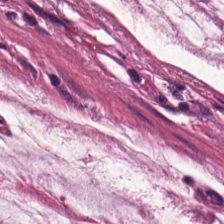224×224 pixel tile; whole-slide-image patch; H&E-stained tissue section — Predominantly mucin.
